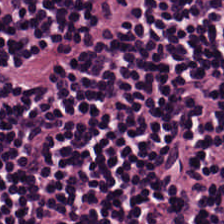Stain: H&E.
Tile size: 224×224 pixel tile.
Tissue: lymphocytes.
